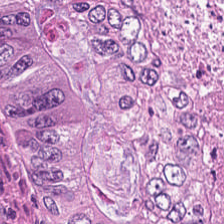224×224 px patch · hematoxylin and eosin · 0.5 µm/px. Cellular debris.
